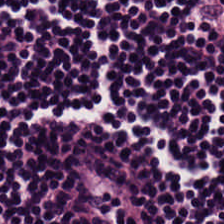Stain: hematoxylin and eosin.
Tissue class: lymphocytic infiltrate.
